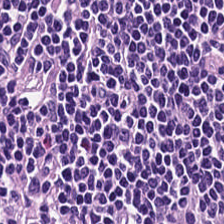H&E-stained tissue section. Tissue type: lymphocytic infiltrate.
